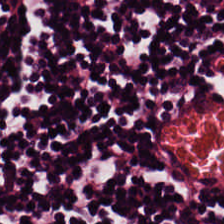This field is lymphoid infiltrate.
